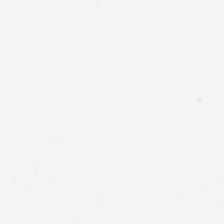H&E stain. WSI patch. No tissue present; background only.
